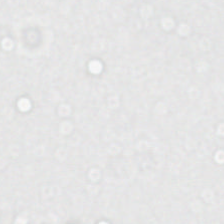Q: Classify this patch.
A: It is empty background.
